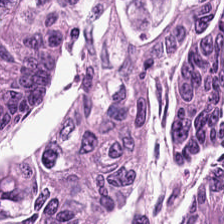224×224 pixel tile; H&E; FFPE tissue section.
The tissue is colorectal adenocarcinoma epithelium.
